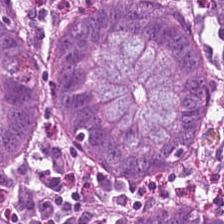Q: What tissue is shown?
A: It is normal colon mucosa.
